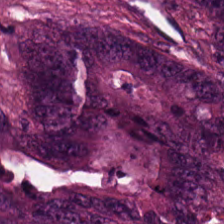H&E-stained tissue section. Predominantly colorectal adenocarcinoma epithelium.
